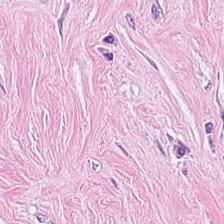H&E stain · FFPE tissue section.
Histology → tumor stroma.
